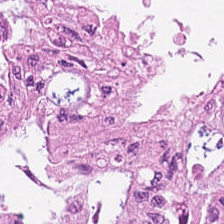H&E-stained tissue section. Whole-slide-image patch — Tumor epithelium.
